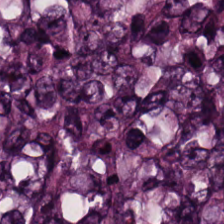Hematoxylin and eosin · brightfield — The predominant tissue is colorectal adenocarcinoma epithelium.
